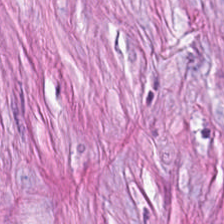Hematoxylin and eosin. 224×224 pixel tile. 0.5 microns per pixel. This field is cancer-associated stroma.
